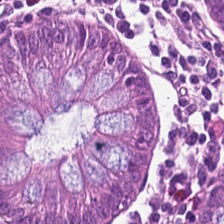Hematoxylin-and-eosin stained section. The tissue here is benign colonic mucosa.
